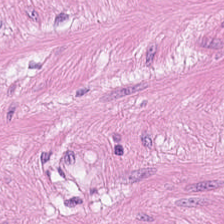Stain: hematoxylin and eosin.
Preparation: FFPE tissue section.
Tissue class: muscularis.
